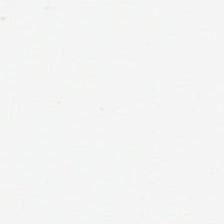Stain: H&E stain.
Field content: background.
